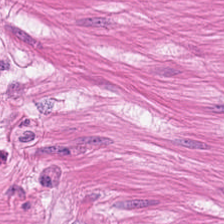Hematoxylin and eosin. The tissue is smooth muscle.
